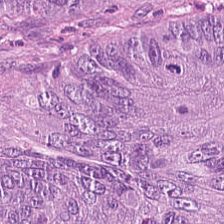H&E. This field is colorectal adenocarcinoma.
